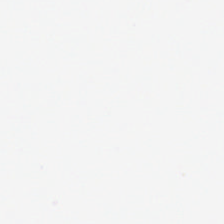Content: empty background.
